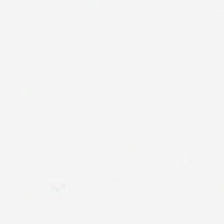Empty field — empty background.
